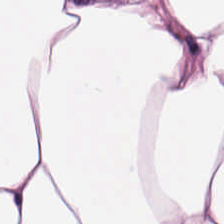H&E stain. The tissue here is adipose.
